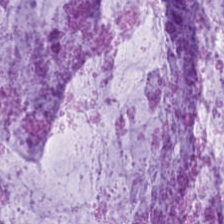Hematoxylin-and-eosin stained section — The tissue here is mucus.
